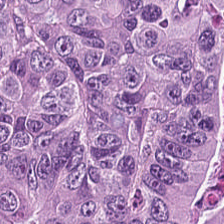Classification — adenocarcinoma.
